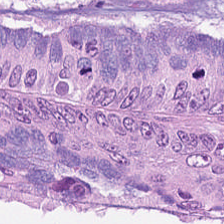Hematoxylin-and-eosin stained section · 0.5 µm/px. Showing tumor epithelium.
